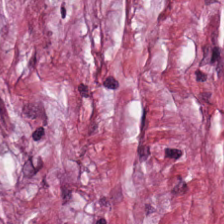Hematoxylin-and-eosin stained section · 0.5 microns per pixel. Tissue type: desmoplastic stroma.
